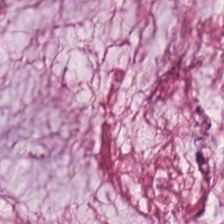Stain: H&E stain.
Tile size: 224×224 px patch.
Classification: extracellular mucin.
